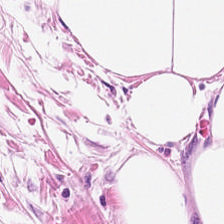Finding → adipocytes.
